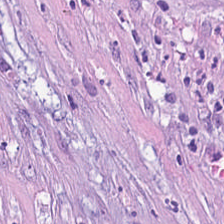Stain: H&E-stained tissue section.
Resolution: 20× equivalent magnification.
Tile size: 224×224 px patch.
Tissue: desmoplastic stroma.
